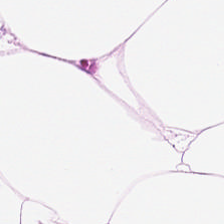Stain: H&E stain.
Classification: adipocytes.
